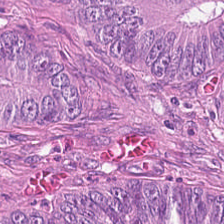FFPE tissue section; 224×224 px patch; hematoxylin and eosin.
Histology — colorectal adenocarcinoma epithelium.
